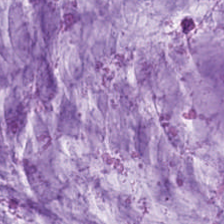Stain: H&E stain.
Predominant tissue: mucin.
